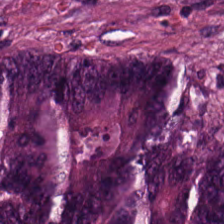The classification is colorectal adenocarcinoma.
